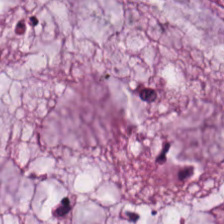Stain: H&E.
Resolution: 0.5 µm per pixel.
Classification: mucin.
